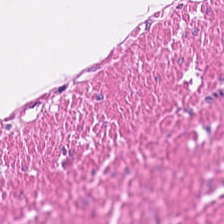Stain: H&E.
Acquisition: brightfield microscopy.
Tissue type: smooth-muscle tissue.
